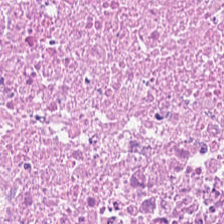0.5 microns per pixel; hematoxylin and eosin; 224×224 px patch. Necrotic debris.
